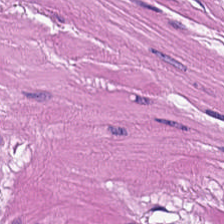Stain: H&E.
Preparation: FFPE.
Tissue type: muscularis.
